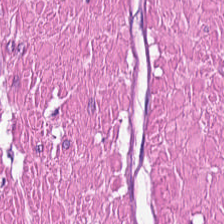Q: What type of tissue is this?
A: The field shows smooth muscle.
